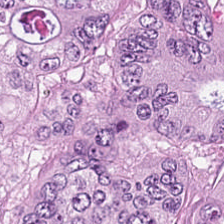Stain: hematoxylin and eosin.
Classification: tumor epithelium.
